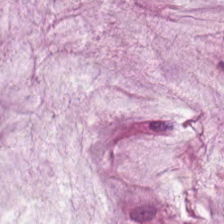This field is extracellular mucin.
